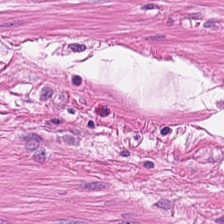Hematoxylin-and-eosin stained section.
Classification: smooth-muscle tissue.
